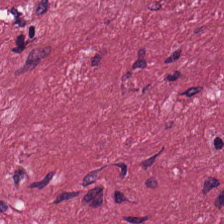Stain: H&E stain.
Tissue type: desmoplastic stroma.
